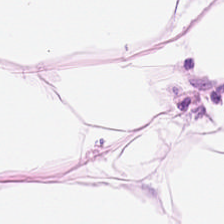224×224 pixel tile. H&E. Predominantly fat tissue.
